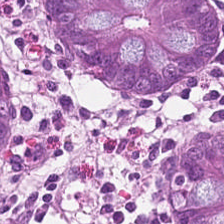H&E — Finding — non-neoplastic colon mucosa.
